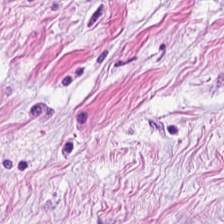Hematoxylin-and-eosin stained section. The predominant tissue is tumor stroma.
